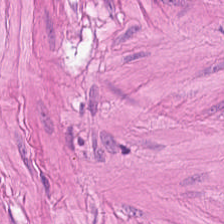H&E stain · 224×224 pixel tile. This field is muscularis.
